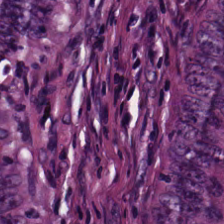Stain: H&E stain.
Tissue class: malignant epithelium.
